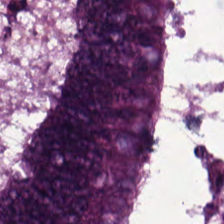Stain: hematoxylin-and-eosin stained section.
Classification: malignant epithelium.
